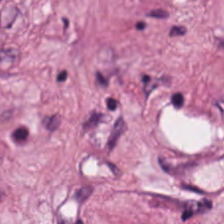H&E stain · WSI patch. Tissue class: desmoplastic stroma.
